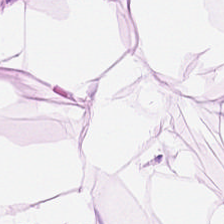Q: What is shown here?
A: It is adipose tissue.
